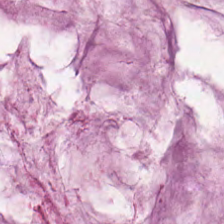Stain: hematoxylin-and-eosin stained section.
Predominant tissue: mucin.
